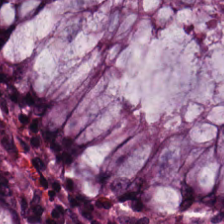FFPE · hematoxylin-and-eosin stained section. Q: What tissue type is shown here?
A: Normal colon mucosa.
